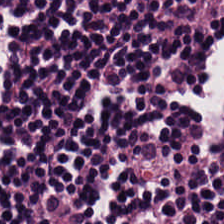224×224 px patch; H&E.
Classification — lymphocytes.
